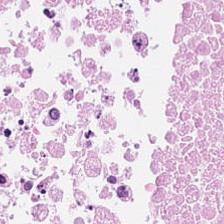H&E-stained tissue section. 0.5 µm per pixel.
The predominant tissue is necrotic debris.
